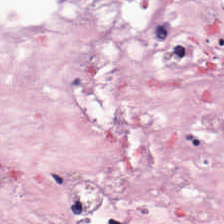H&E. FFPE tissue section.
Impression — cancer-associated stroma.
